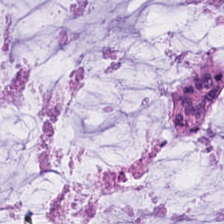Whole-slide-image patch; hematoxylin-and-eosin stained section — Q: What is the predominant tissue type?
A: It is mucin.
